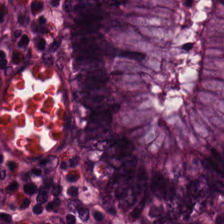H&E stain.
Showing normal colon mucosa.
